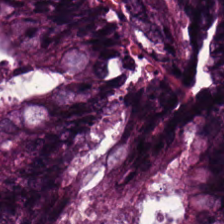H&E stain. 224×224 px tile. 20× equivalent magnification — Tissue: colorectal adenocarcinoma epithelium.
